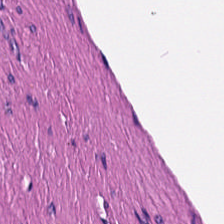FFPE tissue section · H&E stain — Predominantly smooth muscle.
